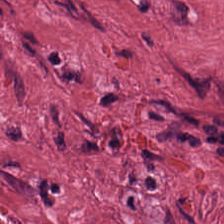Hematoxylin-and-eosin section: tumor stroma.
